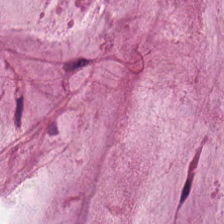H&E stain. Predominant tissue — mucus.
